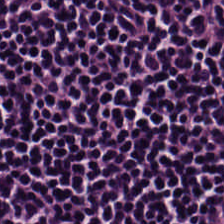H&E — Finding — lymphocytes.
